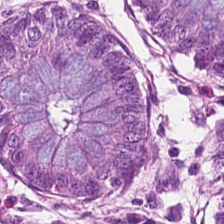Stain: H&E-stained tissue section.
Preparation: FFPE.
Predominant tissue: normal colon mucosa.
